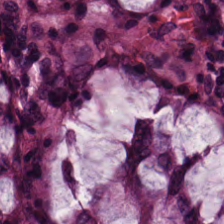Hematoxylin and eosin — This field is normal colon mucosa.
